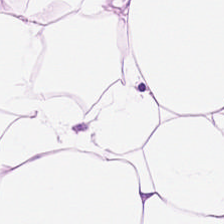This patch shows fat tissue.
